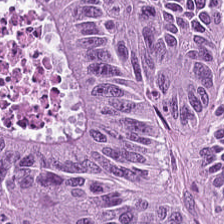H&E. Classification = tumor epithelium.
